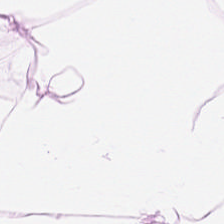Stain: H&E-stained tissue section.
Tile size: 224×224 pixel tile.
Tissue: fat tissue.
